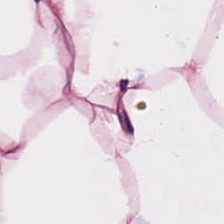FFPE tissue section; hematoxylin and eosin; 20× equivalent magnification. Finding — adipose tissue.
